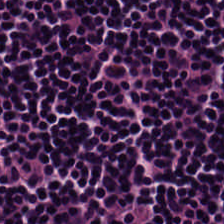Stain: hematoxylin-and-eosin stained section.
Tissue class: lymphocytic infiltrate.
